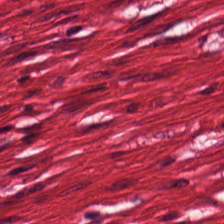H&E.
Tissue class: smooth-muscle tissue.
